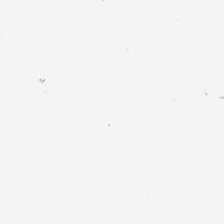Brightfield · hematoxylin-and-eosin stained section. Background — no tissue in this field.
